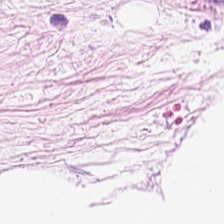Hematoxylin and eosin. Tissue type: adipose.
